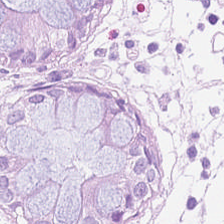H&E stain. The tissue here is benign colonic mucosa.
